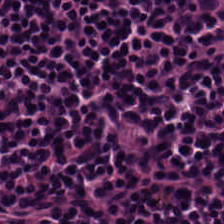{"tissue_type": "lymphocytes"}
